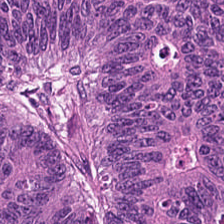Hematoxylin-and-eosin stained section. {"tissue_type": "adenocarcinoma"}
